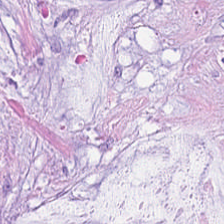H&E stain.
Tissue type = mucin.
